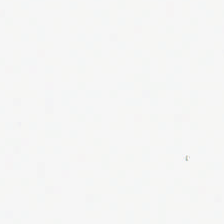H&E-stained tissue section. {"content": "background"}
